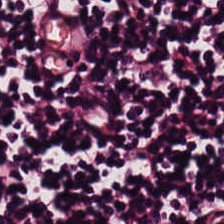H&E stain; formalin-fixed paraffin-embedded section; 20× equivalent magnification.
Finding → lymphocyte aggregate.
